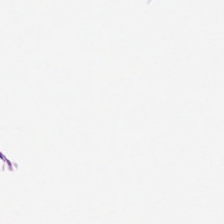H&E · 224×224 px patch.
Q: What tissue is shown?
A: Fat tissue.
